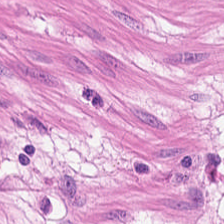0.5 microns per pixel; H&E-stained tissue section. Predominantly smooth muscle.
